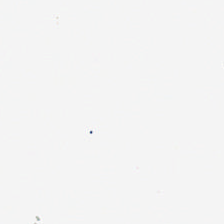Stain: hematoxylin-and-eosin stained section.
Tile size: 224×224 px tile.
Classification: no tissue.
